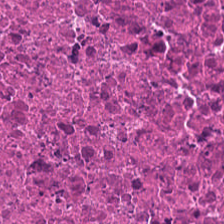H&E-stained tissue section.
This field is debris.
